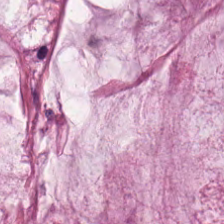Hematoxylin and eosin; 0.5 microns per pixel — Tissue type = mucus.
